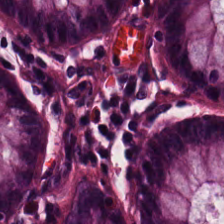Predominantly benign colonic mucosa.
